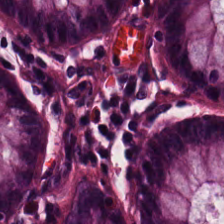Predominantly benign colonic mucosa.
